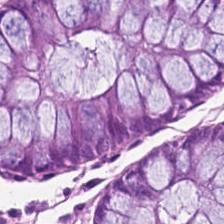H&E-stained tissue section; FFPE tissue section; 224×224 pixel tile.
Non-neoplastic colon mucosa.
